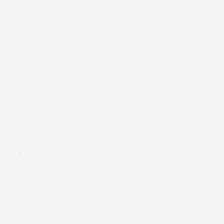Hematoxylin and eosin.
Content — background (no tissue).
